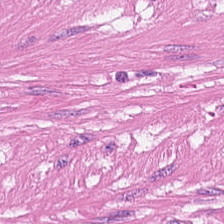Stain: hematoxylin-and-eosin stained section.
Tissue class: muscularis.
